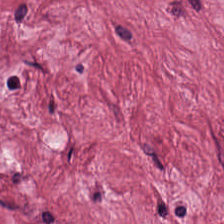0.5 microns per pixel. H&E-stained tissue section. This field is desmoplastic stroma.
